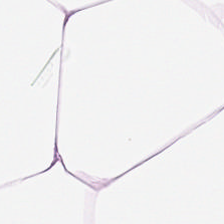This field is fat tissue.
